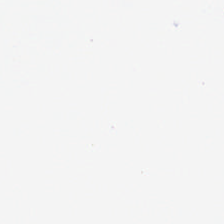H&E-stained tissue section. The classification is background.
